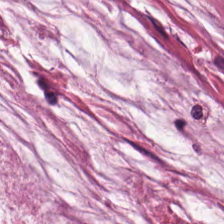224×224 px patch. Hematoxylin and eosin. Tissue type: mucin.
